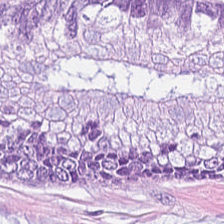H&E stain — Predominantly extracellular mucin.
